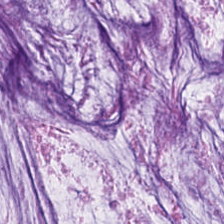Hematoxylin-and-eosin stained section.
Tissue — mucin.
